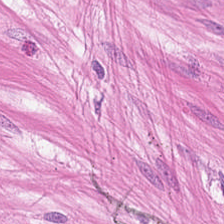Whole-slide-image patch. H&E-stained tissue section — Q: What is shown here?
A: This is muscularis.
